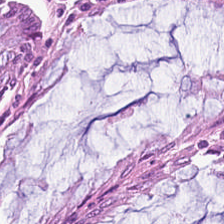The tissue here is normal colon mucosa.
